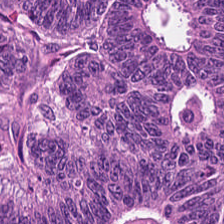Hematoxylin and eosin — Histology → colorectal adenocarcinoma.
